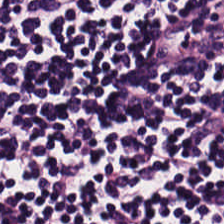H&E. This patch shows lymphocyte aggregate.
